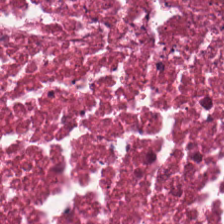Hematoxylin-and-eosin stained section — Tissue class: debris.
